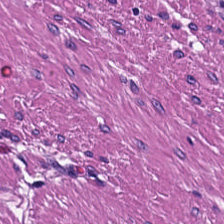Whole-slide-image patch · hematoxylin-and-eosin stained section. Q: Classify this patch.
A: It is smooth-muscle tissue.
